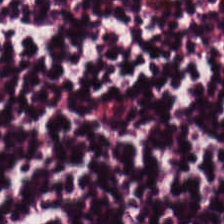Stain: H&E.
Tissue type: lymphoid infiltrate.
